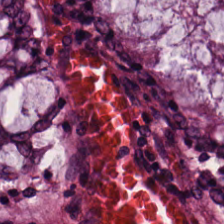Hematoxylin-and-eosin stained section.
Classification — benign colonic mucosa.
